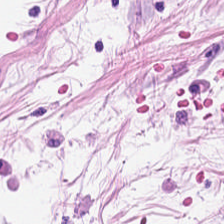H&E stain — Predominantly fat tissue.
